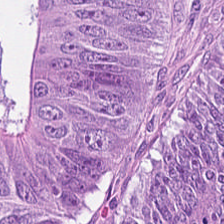H&E stain. 224×224 px patch — The predominant tissue is adenocarcinoma.
